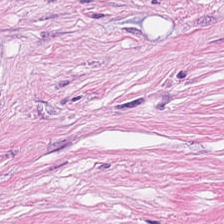H&E — The tissue here is cancer-associated stroma.
